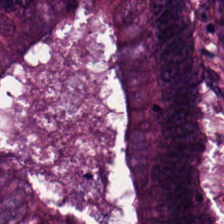224×224 pixel tile. H&E stain.
Histology — malignant epithelium.
